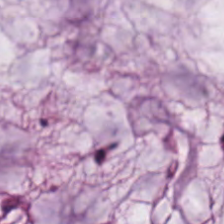H&E-stained tissue section. Tissue class: extracellular mucin.
